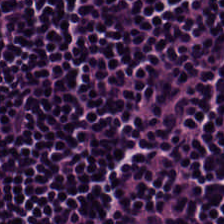H&E-stained tissue section. The tissue here is lymphocytes.
